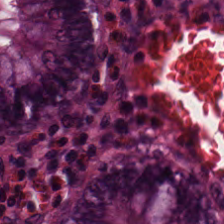H&E — Normal colonic mucosa.
